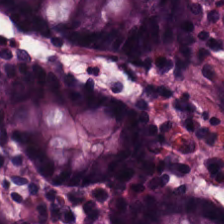224×224 px tile · hematoxylin-and-eosin stained section.
The tissue here is normal colonic mucosa.
